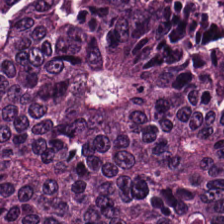H&E-stained tissue section.
Tissue type — malignant epithelium.
